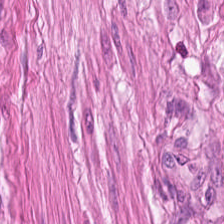Hematoxylin-and-eosin stained section. This field is smooth-muscle tissue.
